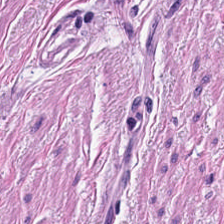H&E stain · WSI patch — Smooth-muscle tissue.
